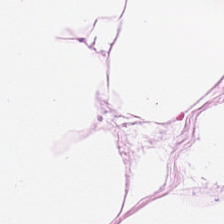H&E; formalin-fixed paraffin-embedded section.
Histology — adipocytes.
